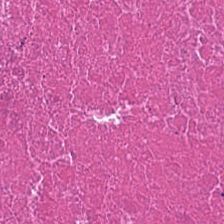Tissue class — cellular debris.
